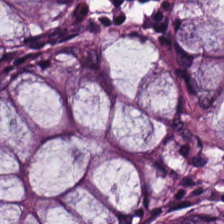Stain: H&E-stained tissue section.
Tissue class: normal colonic mucosa.
